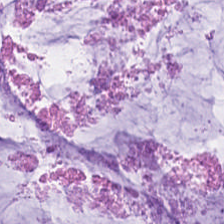H&E — Extracellular mucin.
